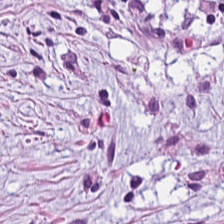H&E. Classification: tumor-associated stroma.
